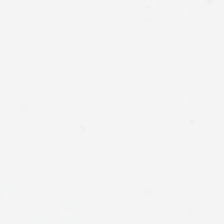FFPE tissue section; H&E-stained tissue section.
Finding → empty background.
